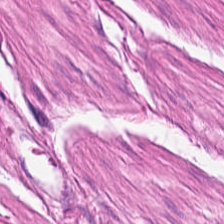Q: What is shown here?
A: The field shows smooth muscle.
